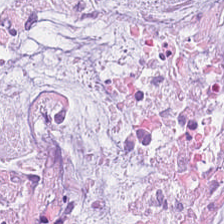H&E-stained tissue section showing mucus.
